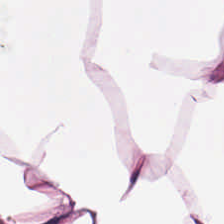Q: What tissue is shown?
A: This is adipose tissue.
